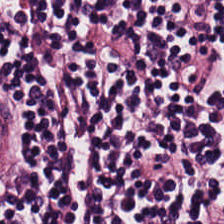H&E stain. The predominant tissue is lymphocytic infiltrate.
